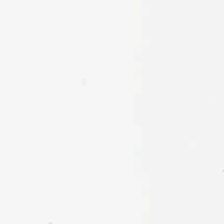Field content: background (no tissue).
